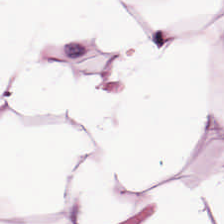H&E. Brightfield. 20× equivalent magnification.
Predominant tissue: fat tissue.
